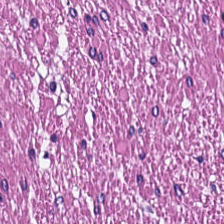WSI patch · H&E stain. Showing smooth muscle.
